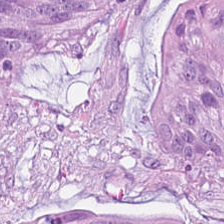Whole-slide-image patch · 224×224 px patch · hematoxylin and eosin. Tissue class: extracellular mucin.
